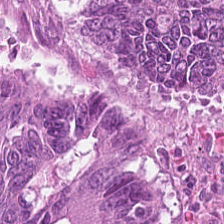FFPE tissue section. Hematoxylin-and-eosin stained section. 20× equivalent magnification. Tissue type: colorectal adenocarcinoma.
